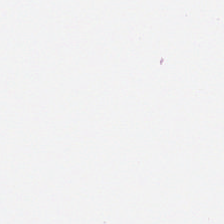H&E; 0.5 microns per pixel — Classification: empty background.
